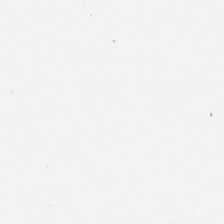Hematoxylin and eosin. Q: What is shown here?
A: This is background (no tissue).
